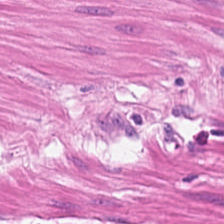20× equivalent magnification; H&E-stained tissue section — This patch shows smooth muscle.
